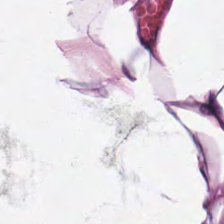0.5 µm per pixel · H&E-stained tissue section · 224×224 pixel tile — Showing adipose.
